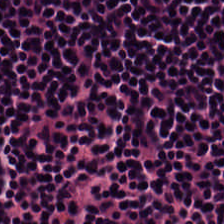Stain: H&E.
Resolution: 0.5 microns per pixel.
Classification: lymphoid infiltrate.
